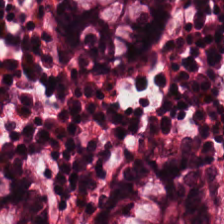H&E — normal colonic mucosa.
